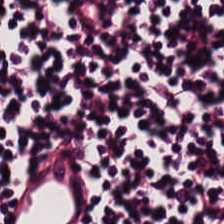This patch shows lymphoid infiltrate.
